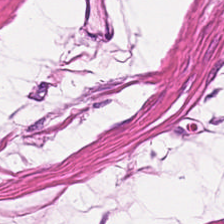Classification — smooth-muscle tissue.
